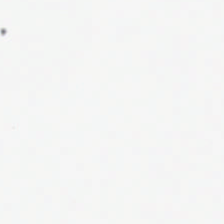0.5 µm per pixel; hematoxylin and eosin. Empty field — background.
